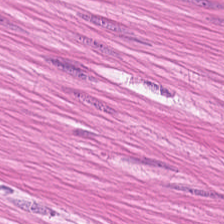H&E. Q: What tissue is shown?
A: The field shows smooth muscle.
